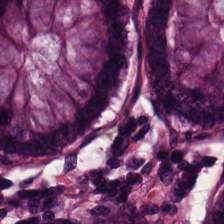FFPE tissue section. Hematoxylin-and-eosin stained section. Brightfield microscopy.
Predominant tissue: benign colonic mucosa.
